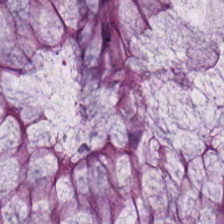Q: What is the predominant tissue type?
A: This is normal colonic mucosa.
